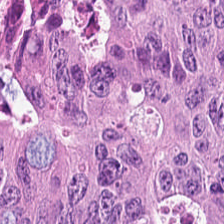H&E-stained tissue section · 224×224 px patch · 0.5 µm/px. {"tissue_type": "adenocarcinoma"}
